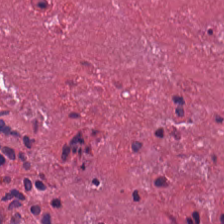Hematoxylin and eosin.
Tissue — debris.
